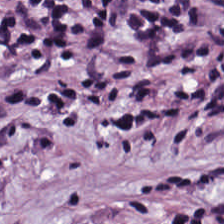Tissue type: tumor stroma.
